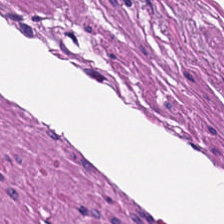Hematoxylin-and-eosin stained section. This field is smooth muscle.
